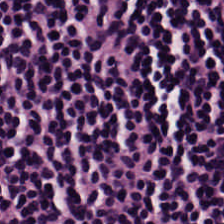224×224 pixel tile; hematoxylin-and-eosin stained section; whole-slide-image patch.
The classification is lymphoid infiltrate.
